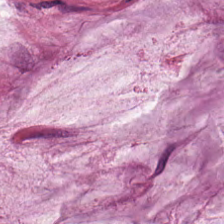20× equivalent magnification · H&E stain.
The tissue here is mucin.
